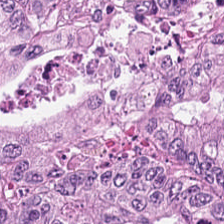20× equivalent magnification; H&E.
This field is colorectal adenocarcinoma.
